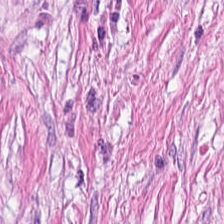H&E-stained tissue section. WSI patch — Predominantly tumor stroma.
